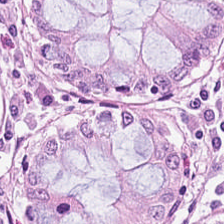0.5 microns per pixel · H&E stain. Q: What tissue is shown?
A: The field shows non-neoplastic colon mucosa.
